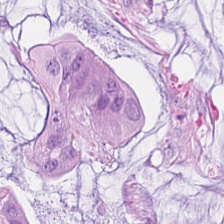{"tissue_type": "mucin"}
